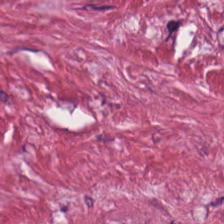H&E — This patch shows desmoplastic stroma.
